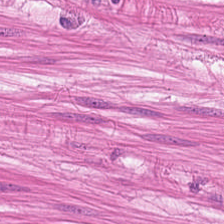FFPE · H&E stain. Predominantly smooth-muscle tissue.
